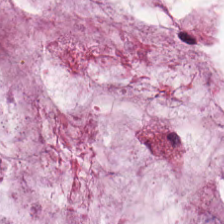Hematoxylin-and-eosin stained section. FFPE.
Classification — extracellular mucin.
